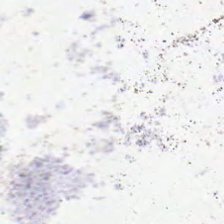The field content is no tissue.
